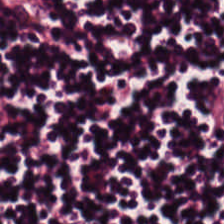FFPE tissue section; H&E stain. The tissue class is lymphocyte aggregate.
